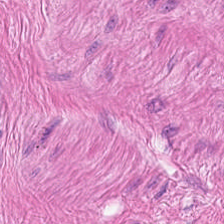Hematoxylin-and-eosin stained section.
Q: What is the predominant tissue type?
A: This is smooth muscle.
